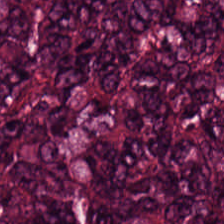H&E — The tissue here is colorectal adenocarcinoma.
